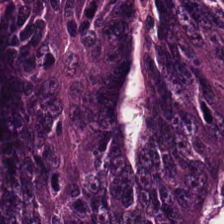H&E-stained tissue section. Histology — colorectal adenocarcinoma.
